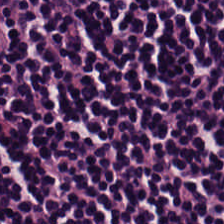224×224 px tile; H&E stain.
Q: What is shown here?
A: This is lymphocytic infiltrate.
